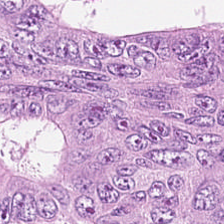Hematoxylin and eosin — Q: What is shown in this field?
A: This is colorectal adenocarcinoma.
